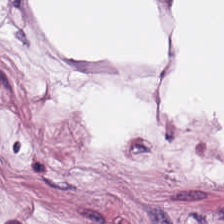Whole-slide-image patch. H&E.
The tissue class is adipocytes.
